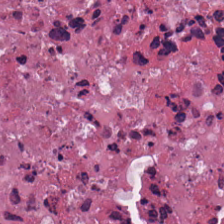Hematoxylin-and-eosin stained section.
Showing cellular debris.
